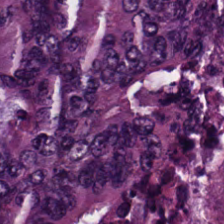20× equivalent magnification · hematoxylin-and-eosin stained section — This field is colorectal adenocarcinoma epithelium.
